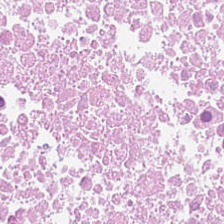H&E.
The predominant tissue is cellular debris.
